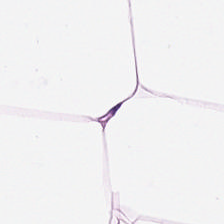H&E. The tissue is adipose.
